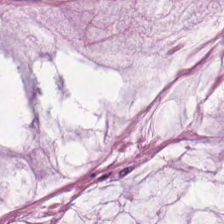224×224 px tile; FFPE tissue section; H&E stain — This patch shows mucin.
